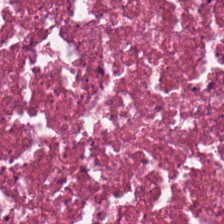H&E stain. Classification — cellular debris.
